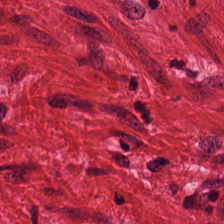Hematoxylin-and-eosin stained section; 224×224 pixel tile. Tissue type: smooth muscle.
